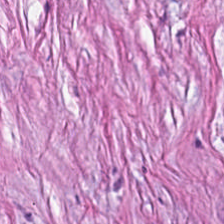Brightfield · H&E.
Q: What is shown in this field?
A: The field shows tumor stroma.
